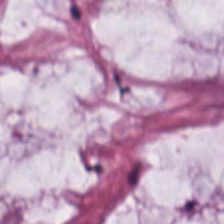20× equivalent magnification. H&E stain. 224×224 pixel tile — Predominantly mucin.
